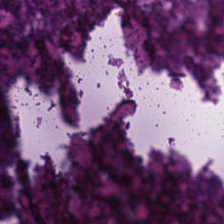Hematoxylin and eosin. 224×224 pixel tile. The tissue is debris.
